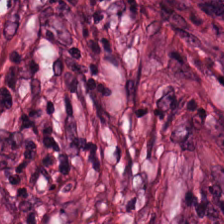H&E stain — The predominant tissue is cancer-associated stroma.
